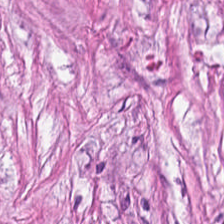H&E.
The predominant tissue is desmoplastic stroma.
